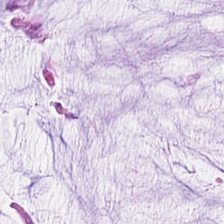H&E stain; 224×224 px tile — The tissue here is extracellular mucin.
